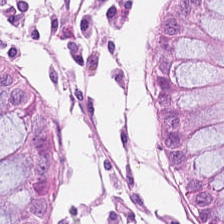Impression → normal colon mucosa.
